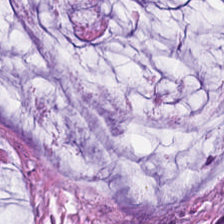Showing mucin.
